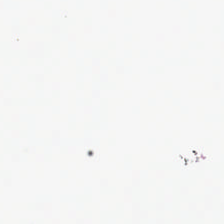20× equivalent magnification. H&E stain — This patch shows background.
